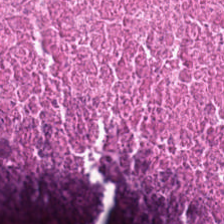Hematoxylin-and-eosin section: cellular debris.
